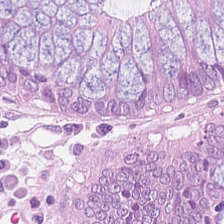0.5 microns per pixel. H&E stain. 224×224 px patch — Impression — normal colon mucosa.
